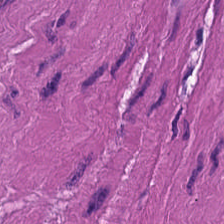224×224 pixel tile; 0.5 µm per pixel; hematoxylin and eosin.
Predominantly smooth muscle.
